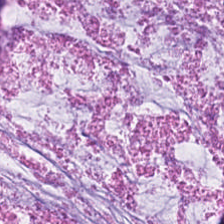Brightfield. H&E stain. Showing extracellular mucin.
